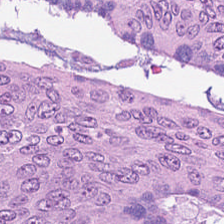Formalin-fixed paraffin-embedded section. H&E — Q: What is shown in this field?
A: The field shows malignant epithelium.
